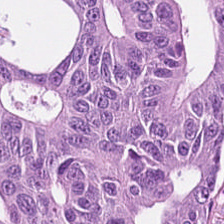H&E stain. The predominant tissue is colorectal adenocarcinoma epithelium.
